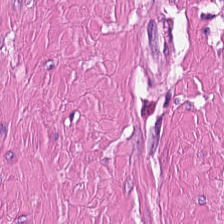H&E stain.
Histology — muscularis.
